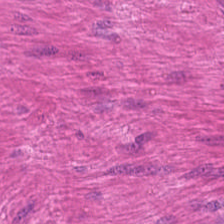H&E · 0.5 microns per pixel · FFPE tissue section. This patch shows muscularis.
